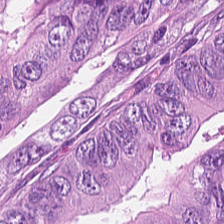Predominantly tumor epithelium.
